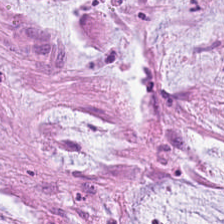H&E stain — The tissue type is extracellular mucin.
